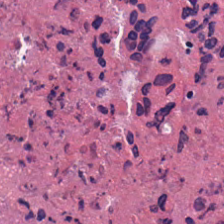FFPE; hematoxylin-and-eosin stained section; brightfield microscopy — Showing necrotic debris.
